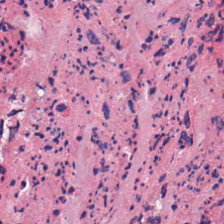Hematoxylin and eosin.
Showing debris.
